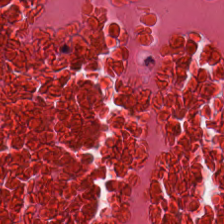H&E — Q: Classify this patch.
A: Debris.
